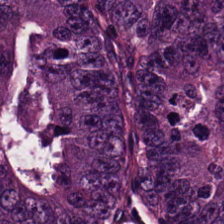0.5 µm per pixel. Hematoxylin-and-eosin stained section. Predominantly adenocarcinoma.
